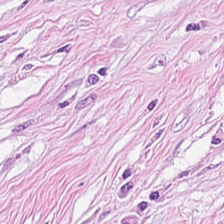Stain: H&E.
Classification: tumor stroma.
